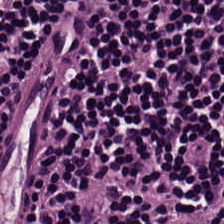Hematoxylin-and-eosin stained section. The tissue type is lymphocytic infiltrate.
